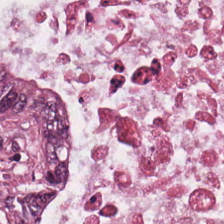Formalin-fixed paraffin-embedded section. Hematoxylin-and-eosin stained section — Tissue = malignant epithelium.
